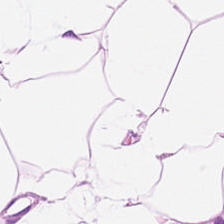0.5 µm per pixel. Hematoxylin-and-eosin stained section — Predominantly adipose tissue.
